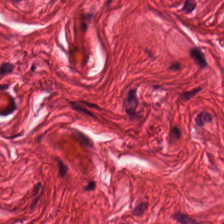H&E-stained tissue section. The predominant tissue is smooth-muscle tissue.
